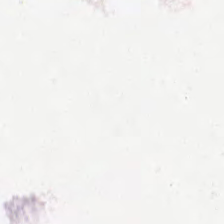Hematoxylin-and-eosin stained section.
Histology → background (no tissue).
